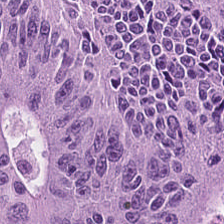Q: What is shown here?
A: Colorectal adenocarcinoma.
